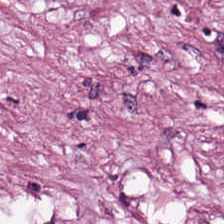Predominant tissue = tumor stroma.
